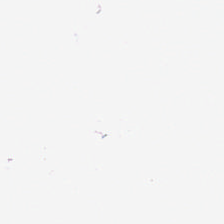Formalin-fixed paraffin-embedded section · H&E-stained tissue section. No tissue present; background only.
